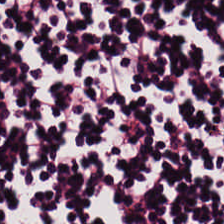Hematoxylin-and-eosin stained section. This field is lymphocyte aggregate.
